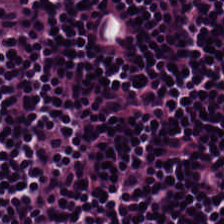WSI patch; hematoxylin-and-eosin stained section.
The tissue here is lymphoid infiltrate.
